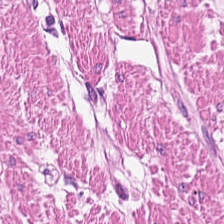Whole-slide-image patch · hematoxylin and eosin · FFPE tissue section. Finding — smooth muscle.
